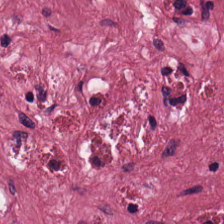H&E. The tissue here is tumor stroma.
